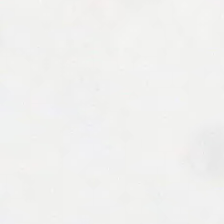H&E. Whole-slide-image patch. FFPE tissue section.
Background.
